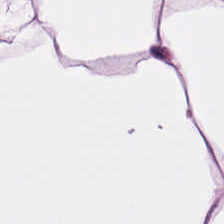Finding — adipose.
